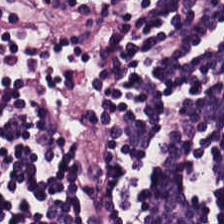Brightfield; H&E; 224×224 pixel tile — The tissue here is lymphocyte aggregate.
